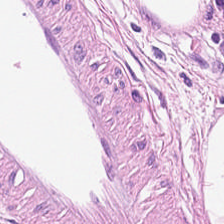Hematoxylin-and-eosin section: adipose tissue.
